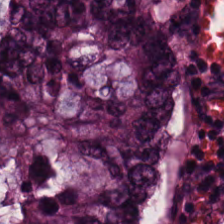Hematoxylin and eosin; FFPE. The tissue is colorectal adenocarcinoma.
